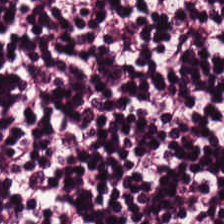The predominant tissue is lymphocytic infiltrate.
